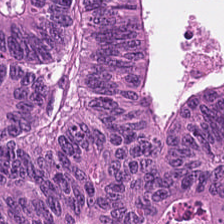H&E-stained tissue section. Showing tumor epithelium.
